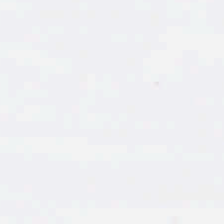H&E stain.
Background (no tissue).
